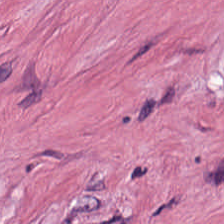Stain: H&E stain.
Tile size: 224×224 px tile.
Preparation: FFPE.
Tissue: desmoplastic stroma.
